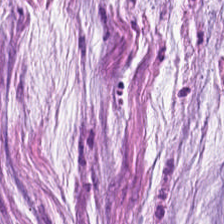20× equivalent magnification; H&E stain.
Q: What is shown in this field?
A: The field shows mucin.
